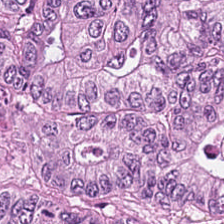H&E stain — Tissue = colorectal adenocarcinoma.
